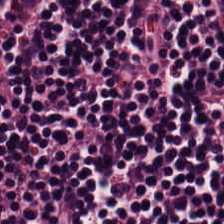Hematoxylin and eosin — Lymphoid infiltrate.
